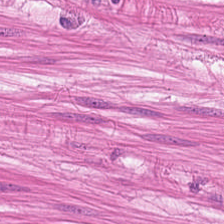Hematoxylin-and-eosin stained section — Showing smooth muscle.
